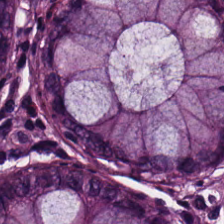Hematoxylin and eosin; 224×224 px patch; 0.5 µm per pixel — Q: What tissue is shown?
A: This is normal colon mucosa.
